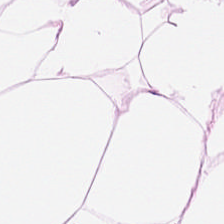{"tissue_type": "adipose"}
